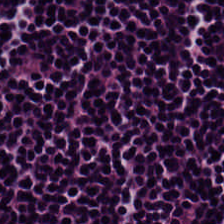Stain: H&E-stained tissue section.
Predominant tissue: lymphocytes.
